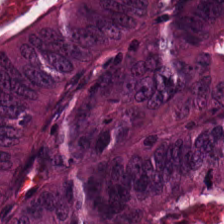Hematoxylin and eosin · 224×224 px patch. {"tissue_type": "adenocarcinoma"}
